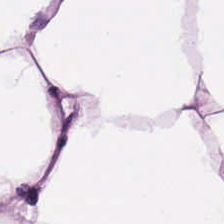H&E stain — This field is adipose tissue.
